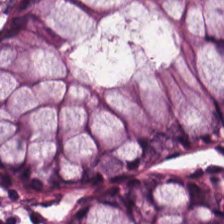H&E-stained tissue section. Tissue = benign colonic mucosa.
